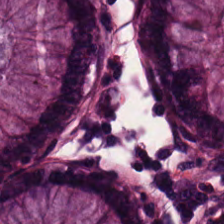Hematoxylin-and-eosin stained section; 20× equivalent magnification. Classification: normal colon mucosa.
